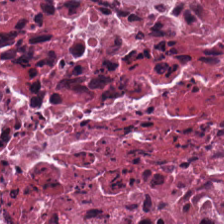224×224 px patch; WSI patch; hematoxylin and eosin. Q: What does this patch show?
A: It is cellular debris.
